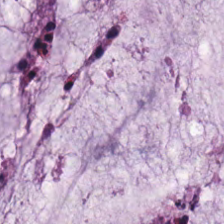Tissue type = extracellular mucin.
